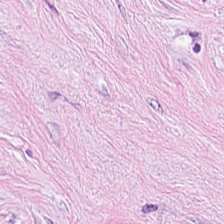Hematoxylin and eosin. Impression — tumor stroma.
